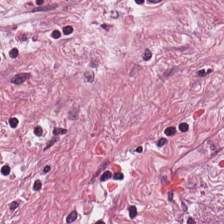Brightfield microscopy; H&E stain — The predominant tissue is tumor stroma.
